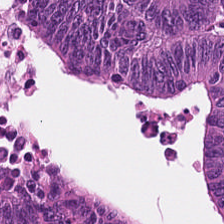Hematoxylin-and-eosin stained section — Q: What tissue type is shown here?
A: This is adenocarcinoma.
